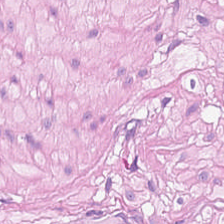0.5 µm per pixel. H&E stain. Classification: smooth muscle.
